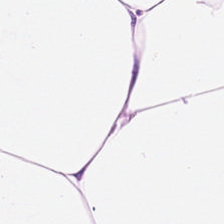Hematoxylin and eosin. 0.5 µm/px — Histology → fat tissue.
